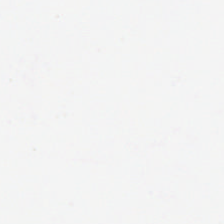H&E-stained tissue section; FFPE tissue section. No tissue present; background only.
